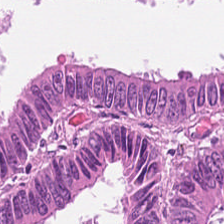Hematoxylin and eosin; brightfield microscopy. {"tissue_type": "adenocarcinoma"}
